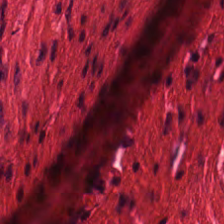0.5 microns per pixel; 224×224 px tile; H&E-stained tissue section.
Tissue: smooth-muscle tissue.
